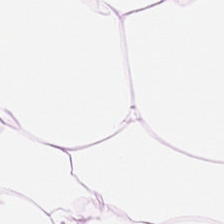Tissue class: adipose.
